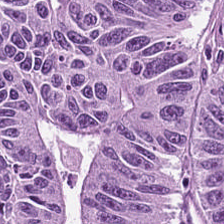0.5 µm per pixel. Hematoxylin-and-eosin stained section. Predominant tissue = tumor epithelium.
